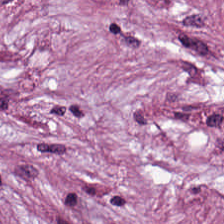H&E stain; 20× equivalent magnification — Q: What type of tissue is this?
A: It is tumor-associated stroma.
